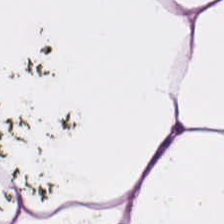224×224 pixel tile. H&E — Impression → adipose.
